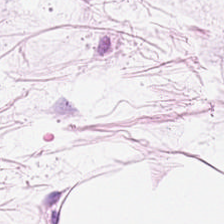224×224 px patch. H&E. Classification — adipose tissue.
